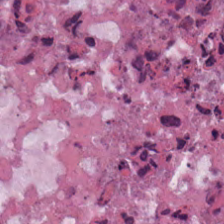H&E — necrotic debris.
